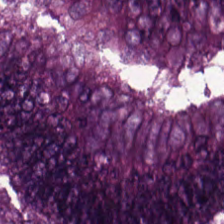FFPE tissue section · H&E stain — Q: What is shown in this field?
A: This is colorectal adenocarcinoma.
